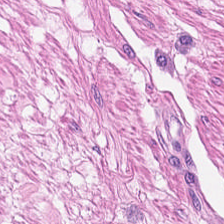Finding → smooth-muscle tissue.
